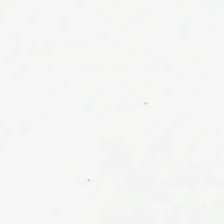FFPE tissue section. H&E stain.
This field is background (no tissue).
